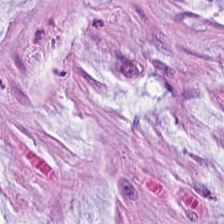Q: What is shown here?
A: This is mucin.
